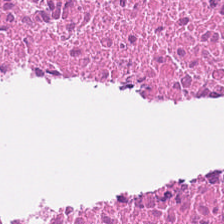H&E stain — The predominant tissue is debris.
